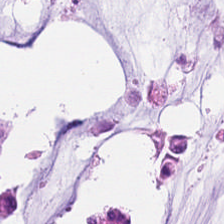FFPE. H&E-stained tissue section. Histology — mucus.
